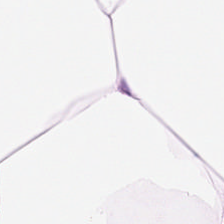H&E-stained tissue section showing adipocytes.
